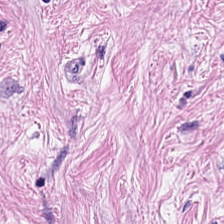This field is cancer-associated stroma.
